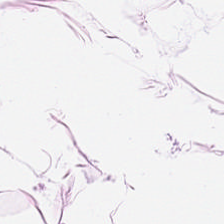H&E.
This field is adipose.
